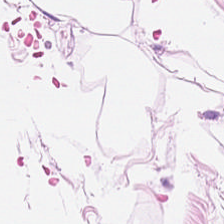H&E stain — Classification — adipocytes.
